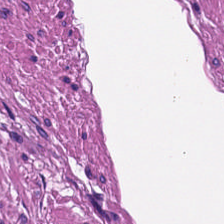Histology → smooth muscle.
